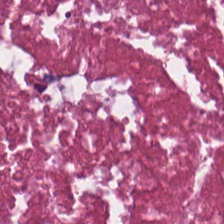Stain: hematoxylin-and-eosin stained section.
Predominant tissue: necrotic debris.
